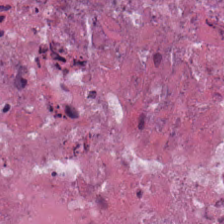0.5 microns per pixel; H&E stain; formalin-fixed paraffin-embedded section.
Debris.
